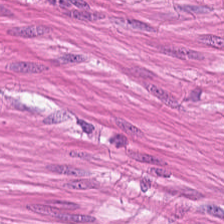FFPE tissue section · H&E. Tissue: muscularis.
